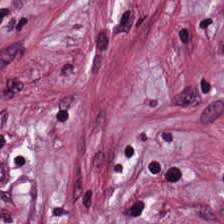Hematoxylin-and-eosin stained section.
Q: What tissue type is shown here?
A: Desmoplastic stroma.
